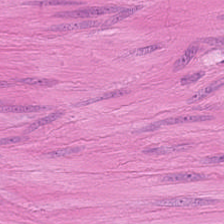Hematoxylin-and-eosin stained section. Showing smooth-muscle tissue.
